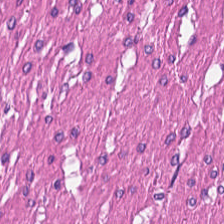Hematoxylin and eosin — Classification — smooth muscle.
